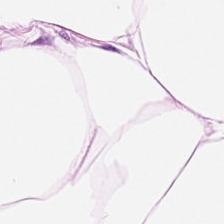Hematoxylin-and-eosin stained section · 224×224 px tile — Predominantly fat tissue.
